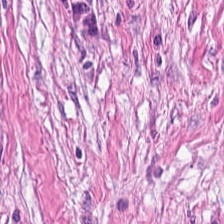H&E-stained tissue section; WSI patch.
Predominantly tumor-associated stroma.
